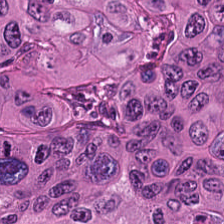FFPE. 0.5 µm per pixel. Hematoxylin-and-eosin stained section.
Tissue = colorectal adenocarcinoma epithelium.
